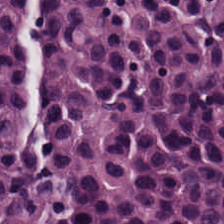Lymphocytic infiltrate.
